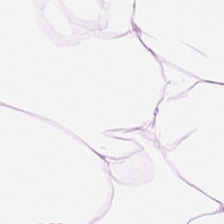The tissue is fat tissue.
